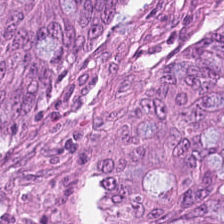Hematoxylin-and-eosin stained section. The tissue class is malignant epithelium.
